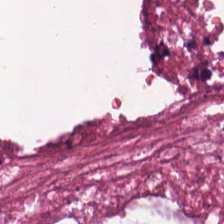Hematoxylin-and-eosin stained section. Tissue type: debris.
